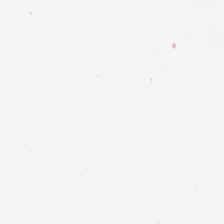H&E stain.
Impression → no tissue.
